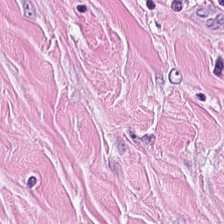FFPE tissue section. H&E stain. 0.5 µm per pixel.
Showing cancer-associated stroma.
